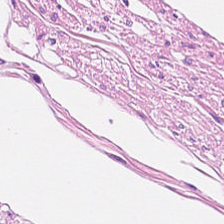Brightfield · H&E-stained tissue section.
The predominant tissue is smooth muscle.
